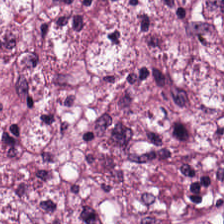H&E-stained tissue section.
Q: What tissue is shown?
A: Tumor stroma.
